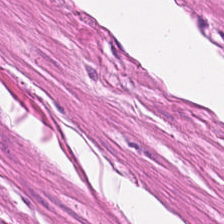224×224 px tile; hematoxylin and eosin; 0.5 microns per pixel.
Showing smooth muscle.
